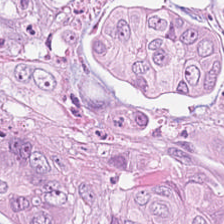H&E-stained tissue section. 224×224 px tile.
This patch shows malignant epithelium.
